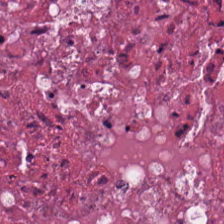Hematoxylin and eosin; formalin-fixed paraffin-embedded section — Predominant tissue — debris.
